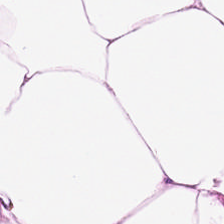Hematoxylin and eosin.
The predominant tissue is adipocytes.
